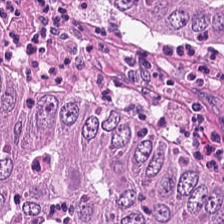H&E-stained tissue section; WSI patch. This field is colorectal adenocarcinoma epithelium.
